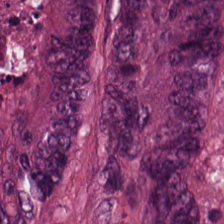Hematoxylin-and-eosin stained section; 20× equivalent magnification.
The predominant tissue is malignant epithelium.
